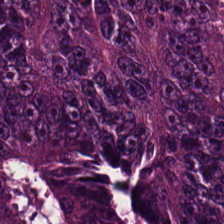H&E stain — Histology — colorectal adenocarcinoma.
